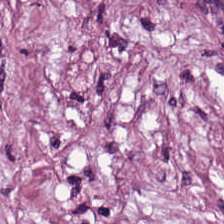H&E — The tissue here is tumor-associated stroma.
